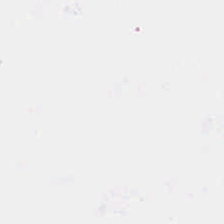224×224 pixel tile; formalin-fixed paraffin-embedded section; H&E-stained tissue section — Classification = background (no tissue).
